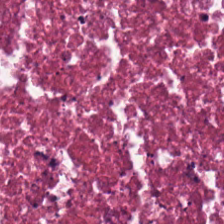Hematoxylin and eosin — The predominant tissue is debris.
